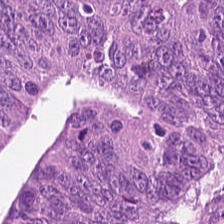H&E stain. Q: What is shown in this field?
A: It is malignant epithelium.
